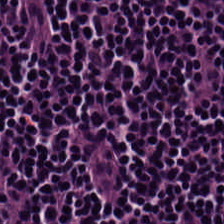H&E.
The tissue is lymphoid infiltrate.
